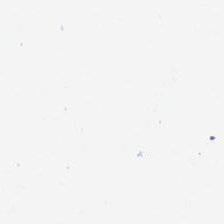224×224 px patch. Hematoxylin and eosin — Impression — no tissue.
